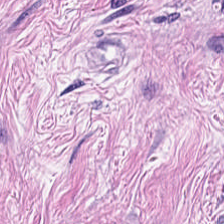Brightfield microscopy; H&E-stained tissue section.
This field is desmoplastic stroma.
